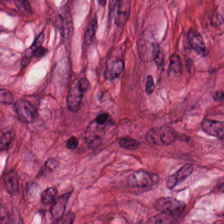Showing desmoplastic stroma.
